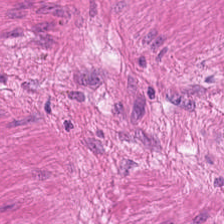H&E stain.
Showing muscularis.
